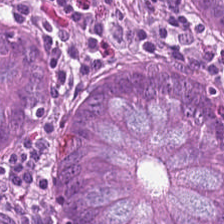H&E-stained tissue section — Predominantly normal colonic mucosa.
